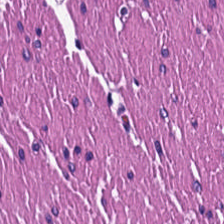This patch shows smooth-muscle tissue.
